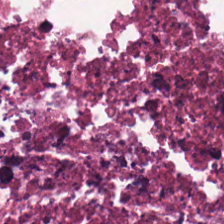H&E-stained tissue section.
This field is necrotic debris.
